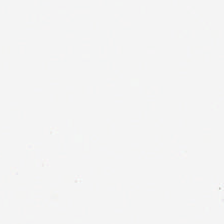This patch shows background.
